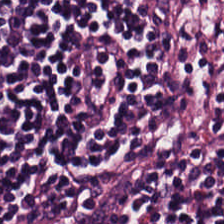Tissue type = lymphoid infiltrate.
